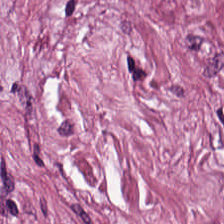{"tissue_type": "tumor stroma"}
